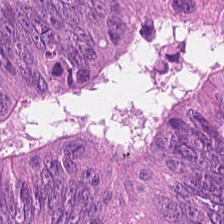This patch shows colorectal adenocarcinoma epithelium.
